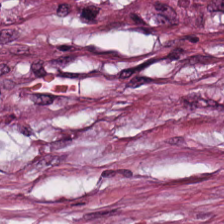H&E.
This patch shows tumor stroma.
